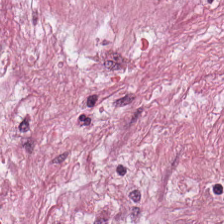Impression — cancer-associated stroma.
